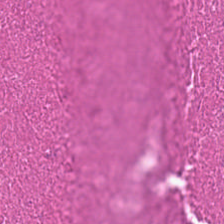Tissue type: cellular debris.
